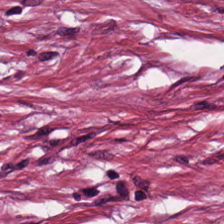H&E. The predominant tissue is desmoplastic stroma.
